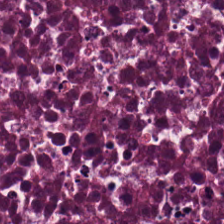FFPE tissue section. H&E. Finding → cellular debris.
